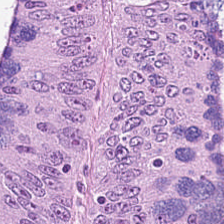Predominantly colorectal adenocarcinoma epithelium.
